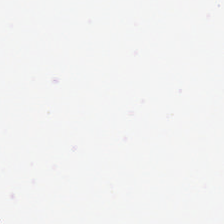Hematoxylin-and-eosin stained section. Finding → no tissue.
